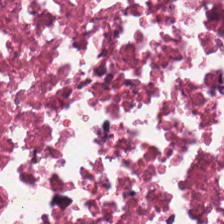0.5 microns per pixel · H&E stain. Q: What does this patch show?
A: It is necrotic debris.
